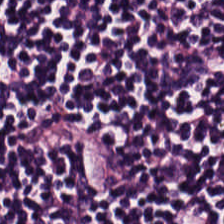Stain: hematoxylin and eosin.
Tissue class: lymphocyte aggregate.
